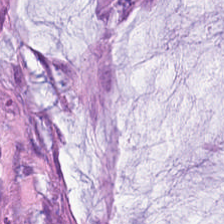H&E-stained tissue section. 224×224 pixel tile. Showing extracellular mucin.
